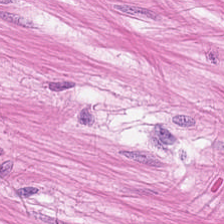FFPE · hematoxylin and eosin — Predominantly smooth-muscle tissue.
